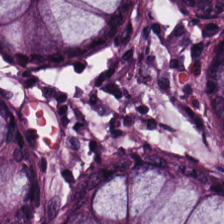H&E — normal colonic mucosa.
